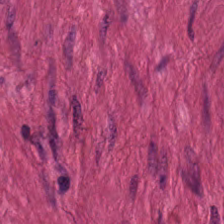20× equivalent magnification; H&E-stained tissue section. This field is smooth-muscle tissue.
